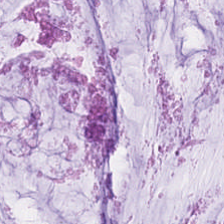FFPE; hematoxylin-and-eosin stained section; 0.5 microns per pixel.
The predominant tissue is extracellular mucin.
